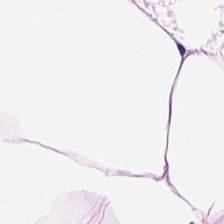H&E-stained tissue section.
Classification = adipose tissue.
